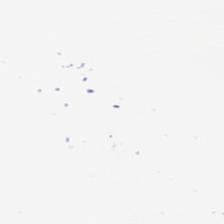Hematoxylin-and-eosin stained section.
No tissue present; background only.
